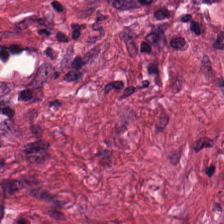The predominant tissue is tumor-associated stroma.
